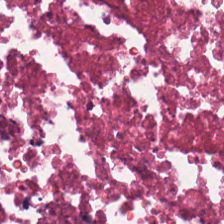Q: What tissue is shown?
A: Cellular debris.
